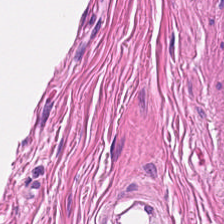Hematoxylin-and-eosin stained section.
Q: What tissue type is shown here?
A: It is smooth-muscle tissue.
